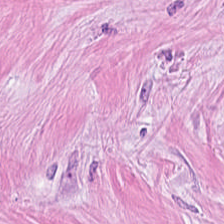H&E stain — Q: Identify the tissue.
A: This is cancer-associated stroma.
